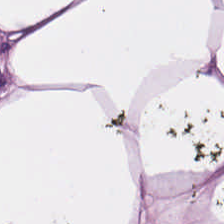WSI patch · H&E-stained tissue section · formalin-fixed paraffin-embedded section. Showing fat tissue.
